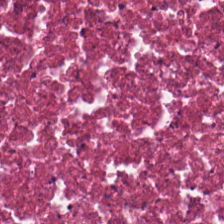H&E-stained tissue section. Q: Classify this patch.
A: It is cellular debris.
